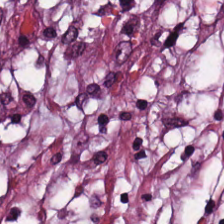The predominant tissue is cancer-associated stroma.
